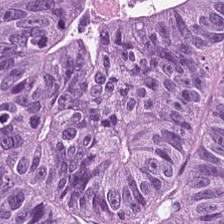H&E-stained tissue section.
Showing colorectal adenocarcinoma.
